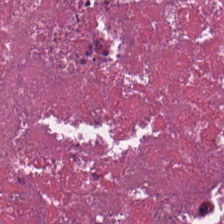Impression → necrotic debris.
